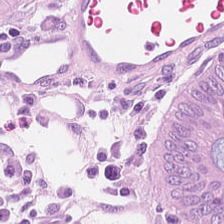20× equivalent magnification. FFPE tissue section. H&E-stained tissue section.
Q: What type of tissue is this?
A: This is normal colonic mucosa.
